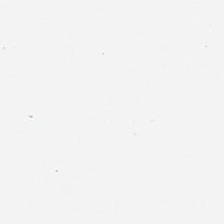H&E-stained tissue section. 224×224 pixel tile. 0.5 microns per pixel.
This field is background (no tissue).
